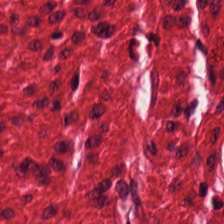The predominant tissue is muscularis.
